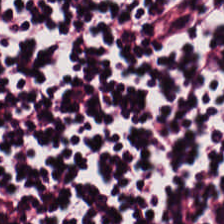Stain: H&E stain.
Tile size: 224×224 px patch.
Classification: lymphocyte aggregate.
